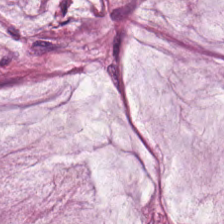Hematoxylin-and-eosin stained section — This patch shows extracellular mucin.
